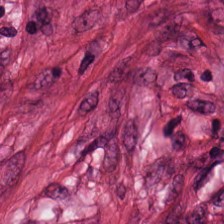Hematoxylin and eosin · 224×224 px tile · FFPE.
The predominant tissue is cancer-associated stroma.
